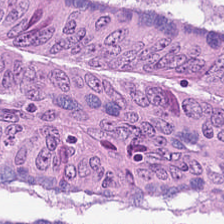H&E stain — The predominant tissue is colorectal adenocarcinoma.
